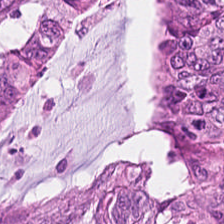H&E-stained tissue section. Classification: colorectal adenocarcinoma.
